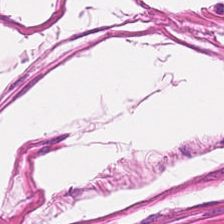224×224 px tile; 20× equivalent magnification; hematoxylin and eosin — Q: What is the predominant tissue type?
A: The field shows smooth-muscle tissue.
